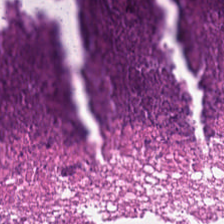Tissue class: cellular debris.
